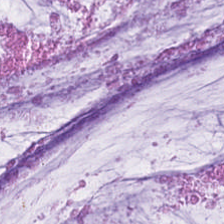H&E stain; 0.5 µm/px — {"tissue_type": "mucin"}
